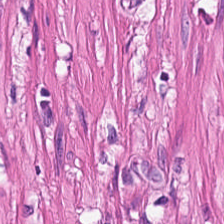Stain: H&E-stained tissue section.
Resolution: 0.5 µm/px.
Tissue: muscularis.
